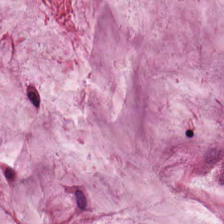H&E-stained tissue section.
Predominantly mucus.
